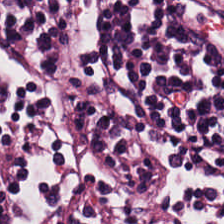Stain: H&E-stained tissue section.
Acquisition: WSI patch.
Classification: lymphoid infiltrate.
